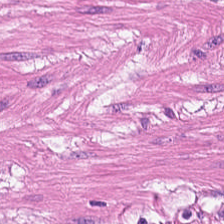H&E — Classification = muscularis.
